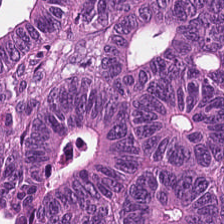Hematoxylin and eosin. Showing adenocarcinoma.
